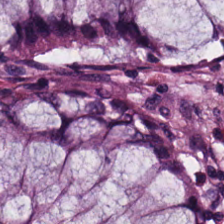0.5 µm per pixel. FFPE. Hematoxylin-and-eosin stained section. Impression → non-neoplastic colon mucosa.
